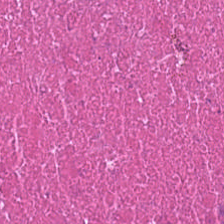Hematoxylin-and-eosin stained section. The predominant tissue is necrotic debris.
